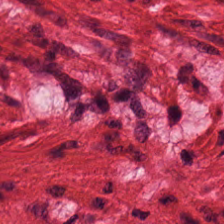FFPE tissue section · hematoxylin and eosin. Tissue — smooth-muscle tissue.
